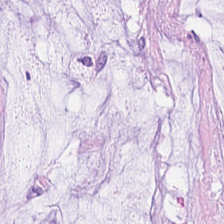WSI patch. H&E-stained tissue section. Formalin-fixed paraffin-embedded section — Q: Identify the tissue.
A: Mucus.
